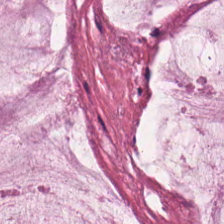Hematoxylin and eosin; formalin-fixed paraffin-embedded section. Predominant tissue — mucin.
